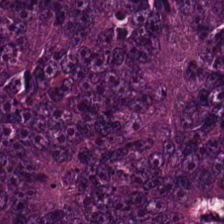Hematoxylin-and-eosin stained section · brightfield microscopy · 224×224 pixel tile — Q: What is the predominant tissue type?
A: The field shows colorectal adenocarcinoma epithelium.
